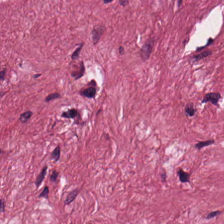Brightfield. H&E — Predominantly tumor-associated stroma.
